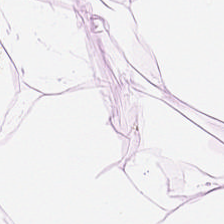Whole-slide-image patch. H&E. 0.5 µm per pixel.
Tissue class = adipocytes.
